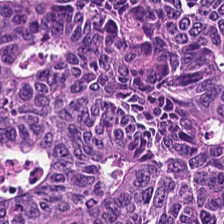Hematoxylin-and-eosin stained section — The tissue here is adenocarcinoma.
